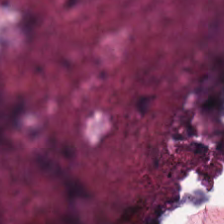H&E stain. Debris.
